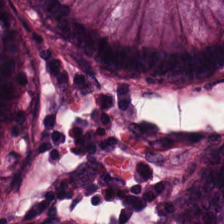H&E-stained tissue section. Tissue class = non-neoplastic colon mucosa.
